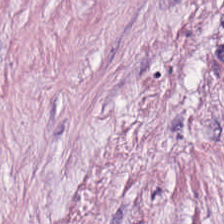Hematoxylin and eosin · brightfield microscopy. Q: Identify the tissue.
A: This is tumor-associated stroma.
